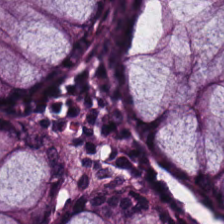FFPE · H&E · 0.5 µm per pixel — Classification = non-neoplastic colon mucosa.
